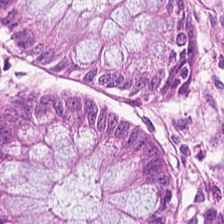Hematoxylin and eosin — Impression → non-neoplastic colon mucosa.
